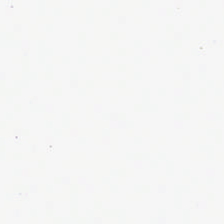FFPE; H&E-stained tissue section. No tissue present; background only.
